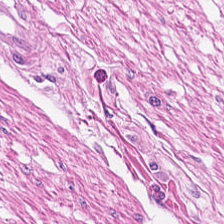H&E-stained tissue section · 224×224 pixel tile. The tissue is smooth muscle.
